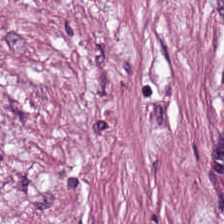FFPE; hematoxylin-and-eosin stained section.
This field is desmoplastic stroma.
